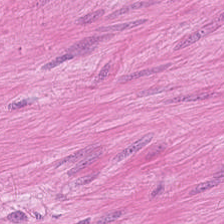H&E-stained section; the field shows muscularis.
